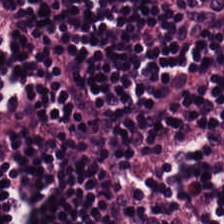Hematoxylin-and-eosin stained section; 20× equivalent magnification. This field is lymphoid infiltrate.
